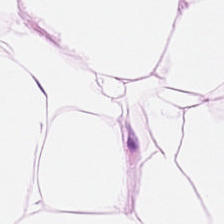Hematoxylin-and-eosin stained section; WSI patch — Tissue: fat tissue.
